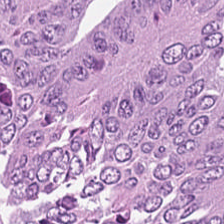Stain: H&E.
Tissue type: tumor epithelium.
